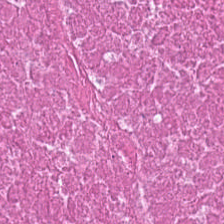Hematoxylin and eosin · 0.5 µm per pixel — Showing debris.
